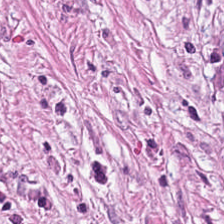FFPE. 0.5 microns per pixel. Hematoxylin and eosin.
Predominant tissue = tumor stroma.
